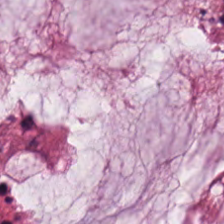H&E stain; 0.5 microns per pixel; FFPE. Q: Classify this patch.
A: The field shows mucus.
